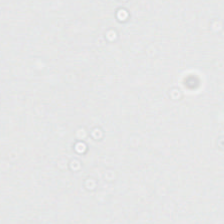Hematoxylin-and-eosin stained section.
Q: What is shown here?
A: This is background (no tissue).
